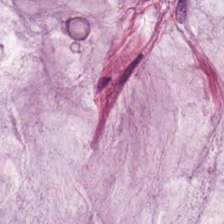Stain: H&E-stained tissue section.
Tissue: mucin.
